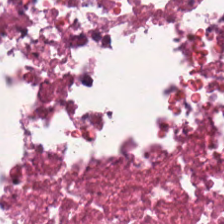The tissue here is necrotic debris.
